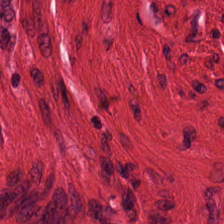224×224 pixel tile. Formalin-fixed paraffin-embedded section. H&E. This field is muscularis.
